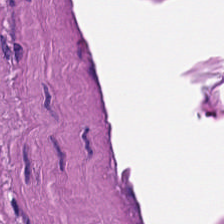Finding → smooth-muscle tissue.
